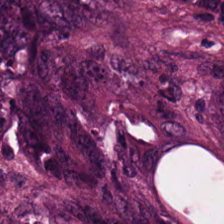Hematoxylin-and-eosin stained section. The predominant tissue is colorectal adenocarcinoma.
